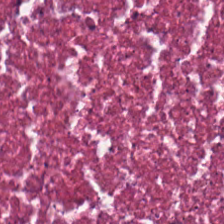H&E stain; 224×224 px patch.
Classification = cellular debris.
